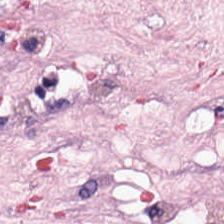20× equivalent magnification; hematoxylin and eosin; whole-slide-image patch.
This patch shows cancer-associated stroma.
